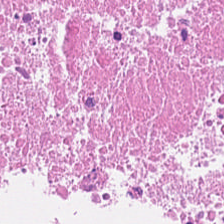Classification = necrotic debris.
